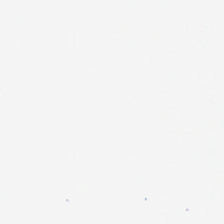224×224 pixel tile. H&E. 0.5 µm per pixel — This field is background (no tissue).
